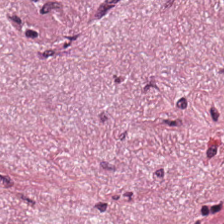The predominant tissue is cancer-associated stroma.
